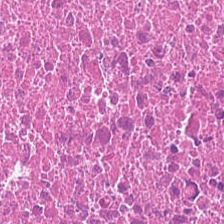H&E.
Classification = debris.
